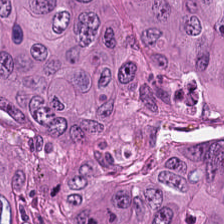H&E; 224×224 px tile — Q: Classify this patch.
A: This is tumor epithelium.
